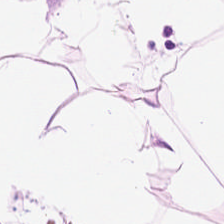H&E stain · 224×224 px patch · FFPE tissue section. Predominantly fat tissue.
